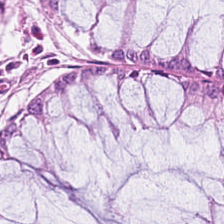Tissue = normal colon mucosa.
